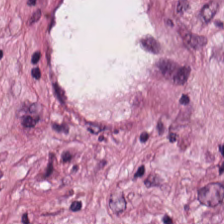Hematoxylin and eosin; brightfield — The predominant tissue is tumor stroma.
